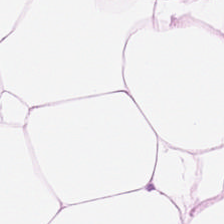0.5 µm per pixel; H&E stain — Predominant tissue — adipocytes.
